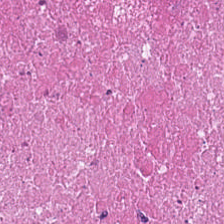H&E-stained tissue section — Histology → cellular debris.
